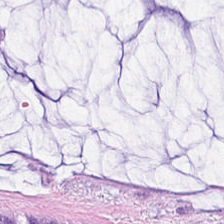Stain: hematoxylin-and-eosin stained section.
Tile size: 224×224 px patch.
Preparation: FFPE tissue section.
Classification: mucus.
